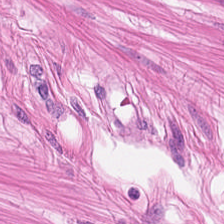Whole-slide-image patch · hematoxylin and eosin · FFPE. This field is smooth-muscle tissue.
